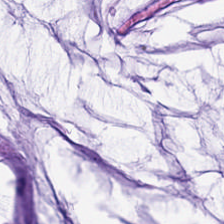H&E. 224×224 px patch.
Tissue: mucin.
